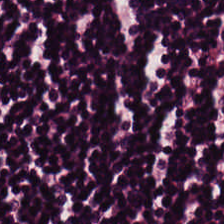Finding — lymphocytes.
